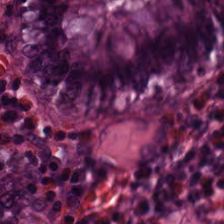Finding → normal colonic mucosa.
